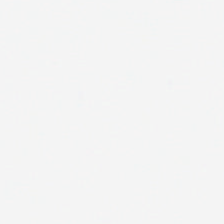{"content": "background (no tissue)"}
